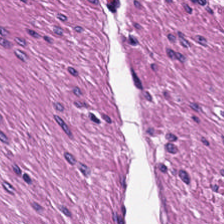Hematoxylin-and-eosin stained section.
Predominant tissue = smooth muscle.
